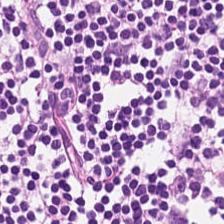H&E-stained tissue section. The tissue type is lymphocytes.
